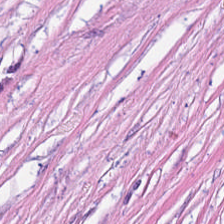FFPE tissue section · H&E stain. Desmoplastic stroma.
